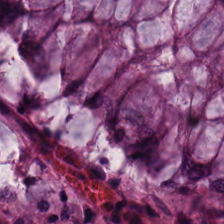0.5 µm/px; H&E; brightfield microscopy — Histology → normal colon mucosa.
